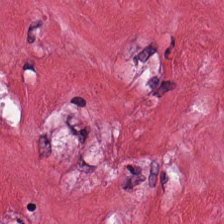Predominantly tumor stroma.
